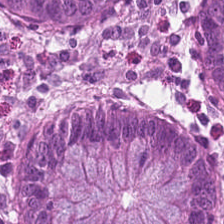H&E-stained tissue section · 0.5 µm per pixel. Q: Identify the tissue.
A: This is normal colon mucosa.
